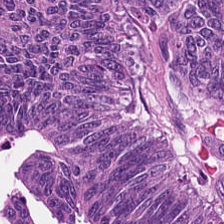H&E-stained tissue section showing colorectal adenocarcinoma.
